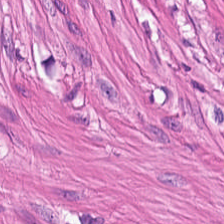Hematoxylin-and-eosin stained section — Q: What tissue is shown?
A: It is muscularis.
